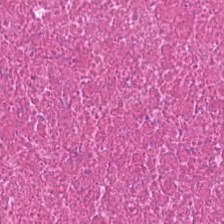Histology → debris.
